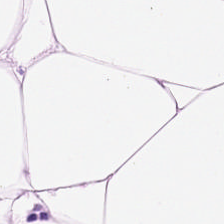Whole-slide-image patch; hematoxylin-and-eosin stained section.
{"tissue_type": "adipose tissue"}
